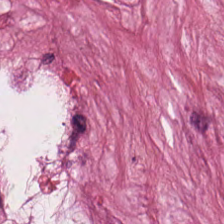Impression — cancer-associated stroma.
